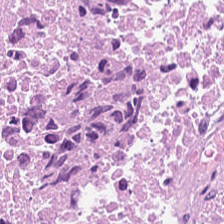H&E-stained tissue section.
{"tissue_type": "cellular debris"}
